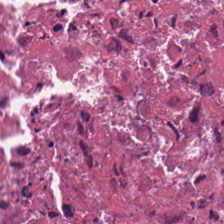H&E. This patch shows debris.
